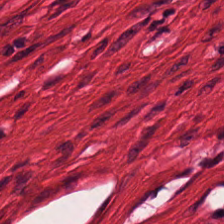Stain: H&E stain.
Tile size: 224×224 px patch.
Acquisition: brightfield.
Predominant tissue: muscularis.
